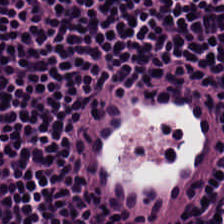Stain: H&E-stained tissue section.
Tissue: lymphoid infiltrate.
